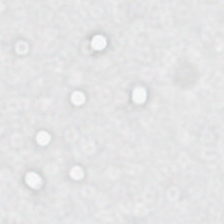Hematoxylin and eosin. Content — background.
